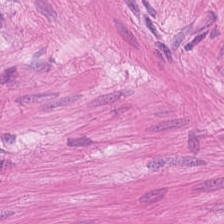H&E · FFPE — Q: What tissue is shown?
A: It is smooth muscle.
